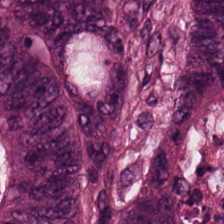The predominant tissue is malignant epithelium.
